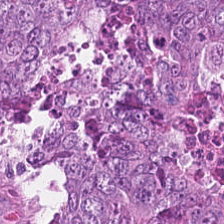0.5 µm per pixel; 224×224 pixel tile; H&E.
Q: What is shown here?
A: This is colorectal adenocarcinoma.
